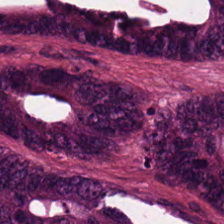H&E. FFPE tissue section.
This field is adenocarcinoma.
